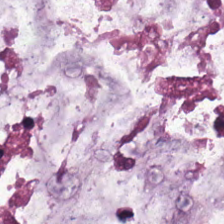Brightfield. 0.5 µm per pixel. H&E-stained tissue section. Q: What is shown in this field?
A: This is mucin.
